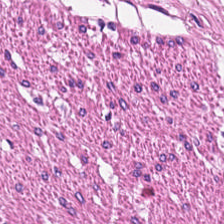H&E-stained tissue section. Tissue: muscularis.
